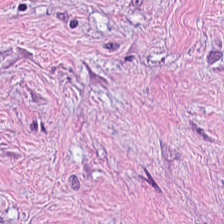Brightfield; 224×224 px tile; H&E. This patch shows desmoplastic stroma.
